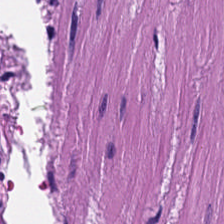Hematoxylin and eosin — {"tissue_type": "smooth-muscle tissue"}
